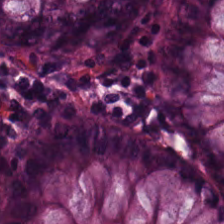0.5 µm per pixel · hematoxylin-and-eosin stained section.
Tissue — benign colonic mucosa.
